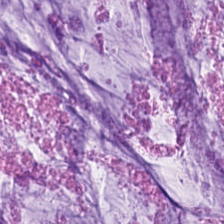0.5 µm/px · H&E stain — The predominant tissue is mucin.
